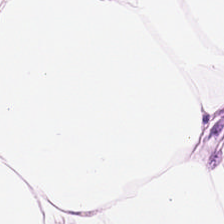H&E-stained tissue section; whole-slide-image patch; 224×224 pixel tile.
Showing fat tissue.
